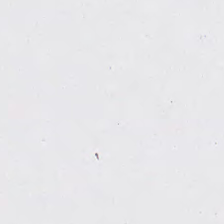H&E. Q: What does this patch show?
A: The field shows background.
